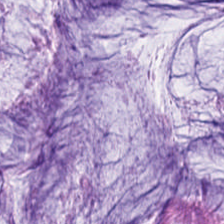H&E stain — This patch shows mucin.
